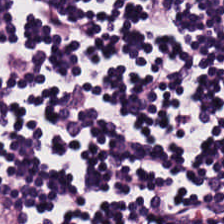224×224 px tile · 20× equivalent magnification · H&E-stained tissue section — Q: What tissue type is shown here?
A: This is lymphoid infiltrate.
